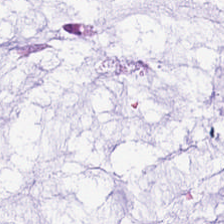Showing mucin.
